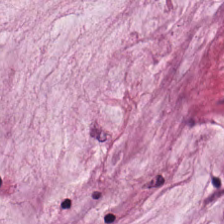Predominantly mucin.
